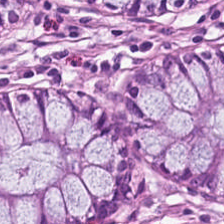H&E. Q: What tissue is shown?
A: It is normal colon mucosa.
